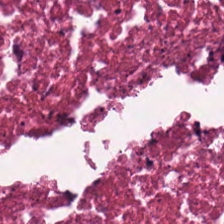H&E-stained tissue section.
The predominant tissue is cellular debris.
